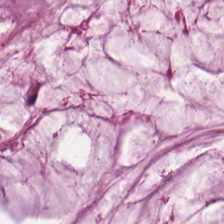H&E stain — Tissue type: mucus.
